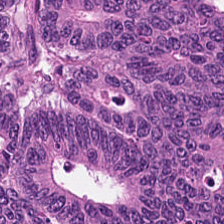H&E-stained tissue section. Brightfield microscopy. 0.5 µm/px — Predominantly adenocarcinoma.
